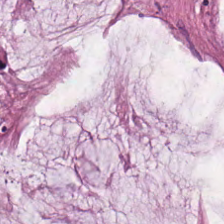H&E stain — The predominant tissue is extracellular mucin.
